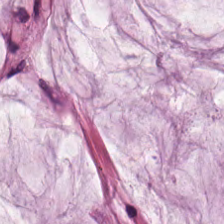The tissue here is extracellular mucin.
